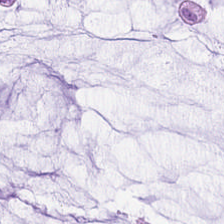FFPE · H&E-stained tissue section · WSI patch. {"tissue_type": "extracellular mucin"}
